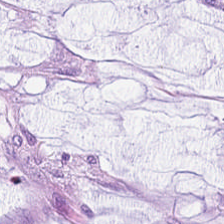The tissue here is mucus.
